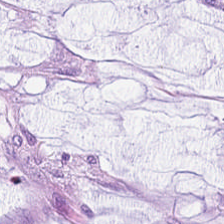The tissue here is mucus.
